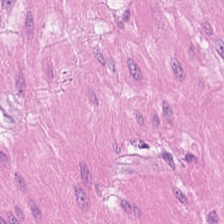Q: Classify this patch.
A: This is muscularis.
